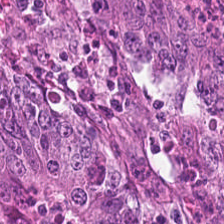0.5 µm/px · H&E — The predominant tissue is colorectal adenocarcinoma epithelium.
